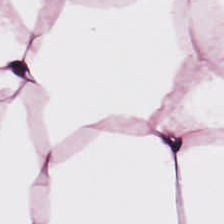0.5 µm/px. H&E. Brightfield microscopy. Histology — adipose tissue.
